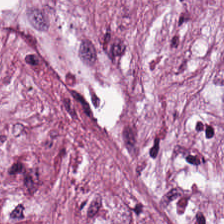FFPE tissue section · hematoxylin-and-eosin stained section · 0.5 µm per pixel. Q: What is shown in this field?
A: The field shows tumor-associated stroma.
